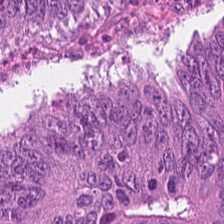Whole-slide-image patch. H&E-stained tissue section.
Q: Identify the tissue.
A: The field shows tumor epithelium.
